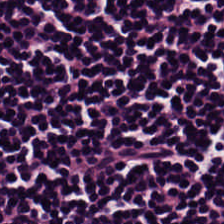Impression → lymphocyte aggregate.
